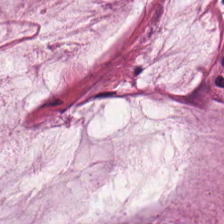H&E-stained tissue section showing extracellular mucin.
